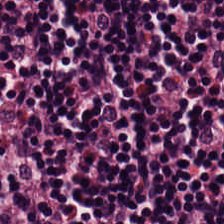H&E · 224×224 px patch — {"tissue_type": "lymphocytes"}
